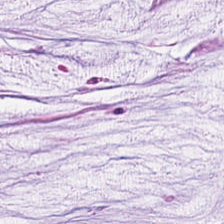Hematoxylin-and-eosin section: mucus.
